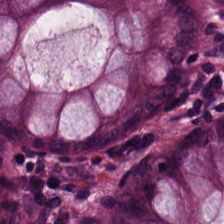H&E-stained tissue section. This field is normal colon mucosa.
